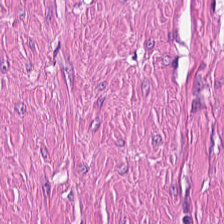Whole-slide-image patch. H&E-stained tissue section.
Predominantly muscularis.
